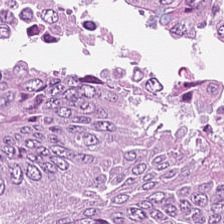Hematoxylin and eosin. Q: What is shown in this field?
A: It is adenocarcinoma.
